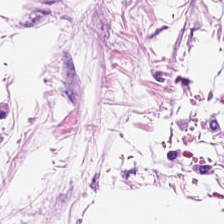H&E stain.
Q: What tissue type is shown here?
A: Adipose tissue.
